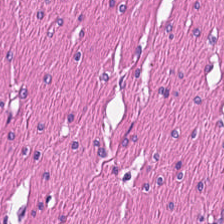H&E — smooth-muscle tissue.
